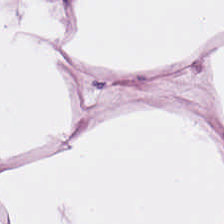H&E-stained tissue section · 224×224 px patch.
Q: What type of tissue is this?
A: The field shows adipose tissue.
